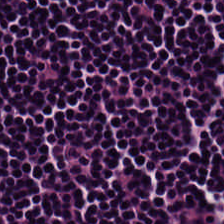Predominantly lymphocytic infiltrate.
